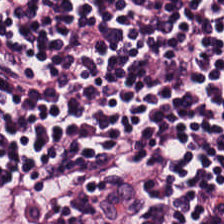Finding — lymphocyte aggregate.
